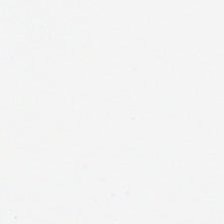H&E stain — Impression → no tissue.
